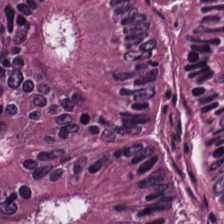Hematoxylin and eosin · formalin-fixed paraffin-embedded section. Colorectal adenocarcinoma epithelium.
